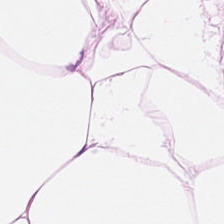Predominantly adipose.
